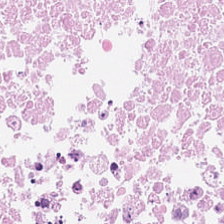H&E — The tissue is debris.
